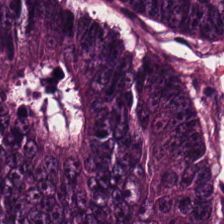Stain: H&E.
Acquisition: brightfield.
Predominant tissue: colorectal adenocarcinoma.
